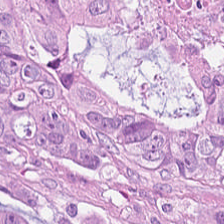H&E — Adenocarcinoma.
